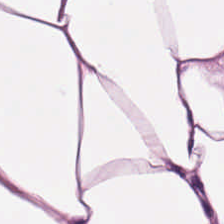H&E stain · brightfield.
{"tissue_type": "adipose tissue"}
